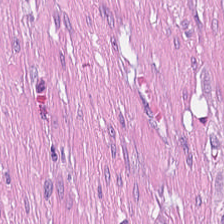H&E stain — Predominantly desmoplastic stroma.
